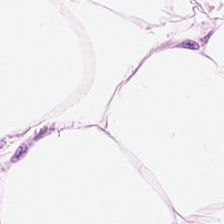Q: What is shown here?
A: Fat tissue.
